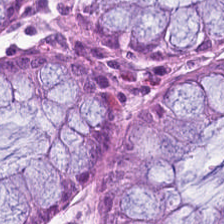Hematoxylin and eosin; WSI patch.
{"tissue_type": "normal colonic mucosa"}
